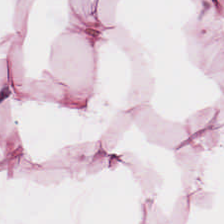Hematoxylin and eosin; 224×224 px tile; FFPE.
Q: Identify the tissue.
A: It is adipose tissue.
